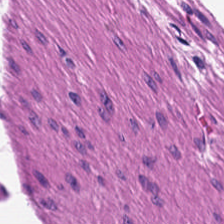H&E-stained tissue section — Q: What is shown in this field?
A: Smooth muscle.
